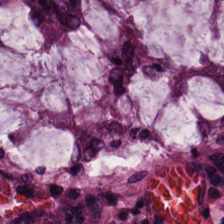H&E stain — This patch shows normal colonic mucosa.
